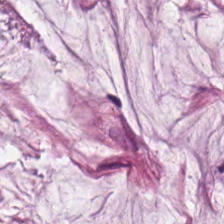H&E. Tissue = extracellular mucin.
